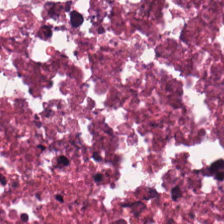Hematoxylin and eosin.
Q: What tissue type is shown here?
A: The field shows necrotic debris.
